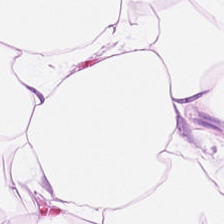Hematoxylin and eosin.
Q: What is shown here?
A: Adipose.
